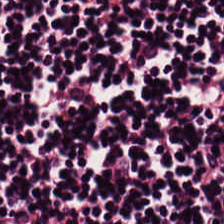{"tissue_type": "lymphoid infiltrate"}
